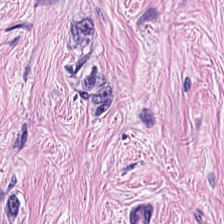Tissue class: tumor-associated stroma.
